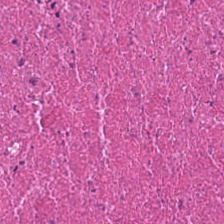H&E-stained tissue section.
Classification — necrotic debris.
